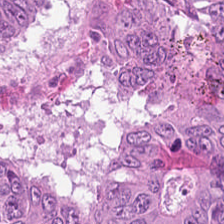Hematoxylin-and-eosin stained section — This field is adenocarcinoma.
